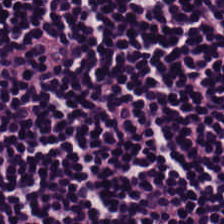H&E. Lymphoid infiltrate.
